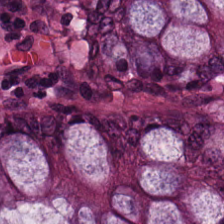Predominant tissue = normal colonic mucosa.
